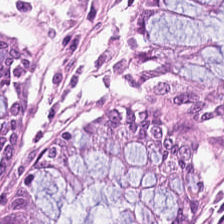H&E-stained tissue section.
Q: What does this patch show?
A: It is non-neoplastic colon mucosa.
